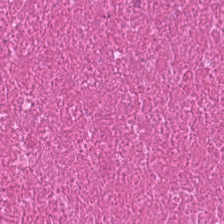20× equivalent magnification. H&E. Brightfield — Q: Classify this patch.
A: It is necrotic debris.
